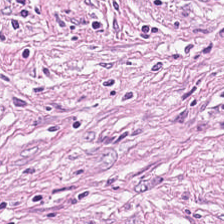20× equivalent magnification; formalin-fixed paraffin-embedded section; H&E stain — Tissue class = cancer-associated stroma.
